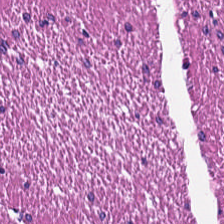Hematoxylin and eosin · FFPE tissue section.
Smooth-muscle tissue.
